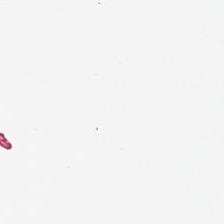H&E-stained tissue section.
Field content — no tissue.
